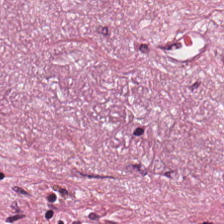The classification is tumor-associated stroma.
